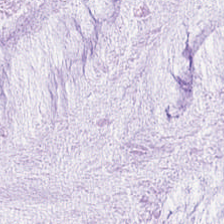Formalin-fixed paraffin-embedded section. H&E stain. 224×224 pixel tile. Q: What is the predominant tissue type?
A: The field shows mucin.
